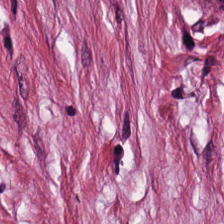Hematoxylin-and-eosin stained section — This patch shows cancer-associated stroma.
